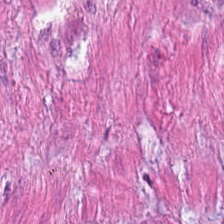H&E stain. 0.5 microns per pixel. 224×224 pixel tile — Showing muscularis.
